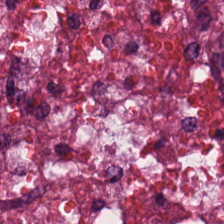Stain: H&E.
Resolution: 20× equivalent magnification.
Tissue: cellular debris.
